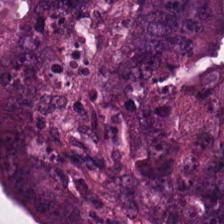Stain: hematoxylin-and-eosin stained section.
Predominant tissue: malignant epithelium.
